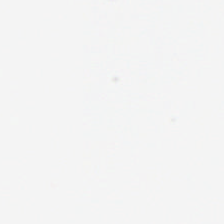Hematoxylin and eosin · FFPE · 224×224 px tile. Content: background (no tissue).
